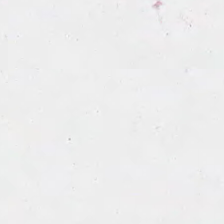Empty field — no tissue.
